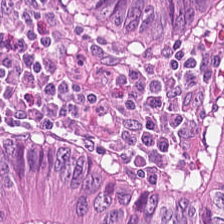0.5 µm/px; hematoxylin and eosin. Q: What is shown here?
A: It is tumor epithelium.
